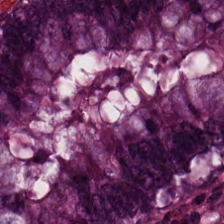Hematoxylin and eosin · 224×224 px tile. The predominant tissue is non-neoplastic colon mucosa.
